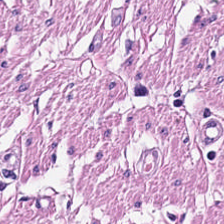Hematoxylin-and-eosin section: smooth-muscle tissue.
